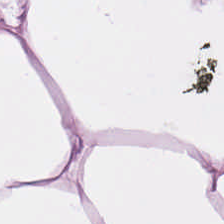H&E stain.
Showing adipose tissue.
